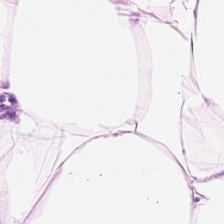Stain: hematoxylin-and-eosin stained section.
Acquisition: WSI patch.
Predominant tissue: adipose tissue.
